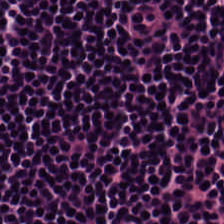Q: What tissue is shown?
A: It is lymphocytes.
